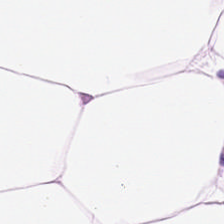FFPE tissue section. H&E. This patch shows fat tissue.
